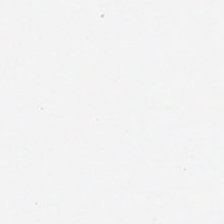H&E-stained tissue section. 0.5 µm/px. 224×224 pixel tile.
The field content is background.
